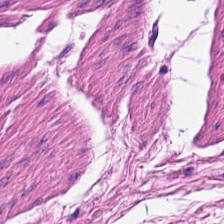H&E stain · whole-slide-image patch · 0.5 µm per pixel.
Predominantly smooth muscle.
